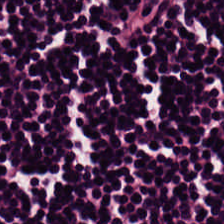H&E stain.
The predominant tissue is lymphocyte aggregate.
